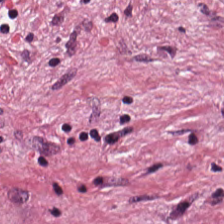Impression → desmoplastic stroma.
